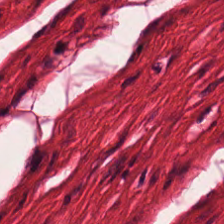H&E. 224×224 px tile.
{"tissue_type": "muscularis"}
